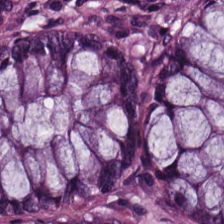Hematoxylin and eosin. 224×224 px patch. WSI patch.
The tissue here is benign colonic mucosa.
